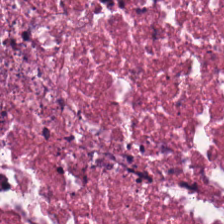Hematoxylin-and-eosin stained section.
Q: Identify the tissue.
A: Necrotic debris.
